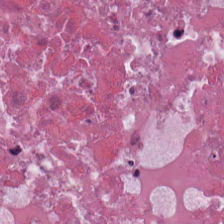Hematoxylin and eosin. 0.5 microns per pixel. Brightfield — Q: Classify this patch.
A: The field shows cellular debris.
